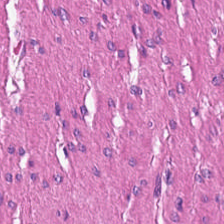Finding — smooth muscle.
